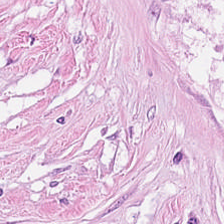Stain: hematoxylin-and-eosin stained section.
Tile size: 224×224 px tile.
Preparation: FFPE.
Tissue: desmoplastic stroma.
